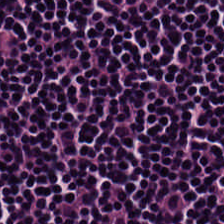Brightfield microscopy · H&E-stained tissue section · FFPE — Tissue = lymphocytes.
